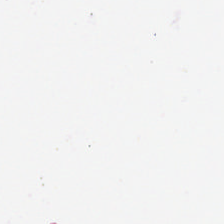Field content: background.
